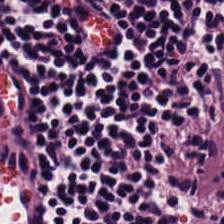224×224 px patch; H&E stain. The tissue here is lymphocytes.
